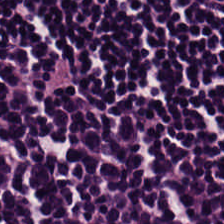Hematoxylin-and-eosin stained section · 20× equivalent magnification. Q: What tissue is shown?
A: The field shows lymphocytic infiltrate.
